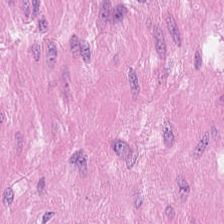Whole-slide-image patch; hematoxylin-and-eosin stained section; FFPE tissue section. This patch shows smooth muscle.
